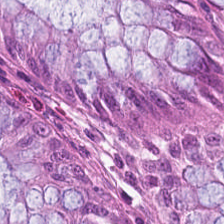0.5 µm per pixel. Hematoxylin-and-eosin stained section. WSI patch.
Q: What is shown in this field?
A: Normal colon mucosa.
